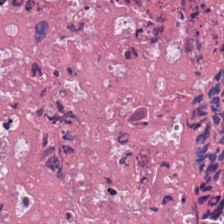H&E-stained tissue section. FFPE. 0.5 microns per pixel — {"tissue_type": "cellular debris"}
